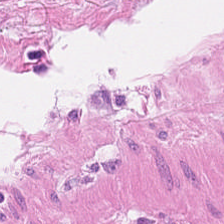H&E-stained tissue section; formalin-fixed paraffin-embedded section — Q: What does this patch show?
A: It is smooth muscle.
